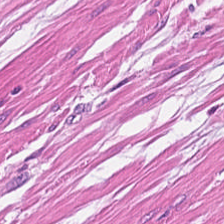H&E · formalin-fixed paraffin-embedded section — The predominant tissue is smooth-muscle tissue.
